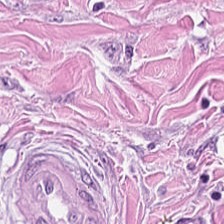Stain: hematoxylin and eosin.
Tissue: cancer-associated stroma.
